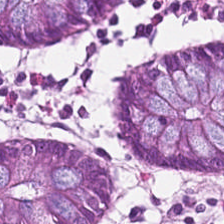Hematoxylin-and-eosin stained section.
This field is normal colon mucosa.
